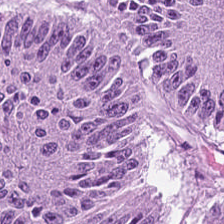FFPE. H&E. This field is adenocarcinoma.
